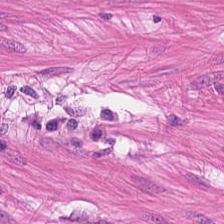Hematoxylin and eosin.
Predominantly smooth muscle.
